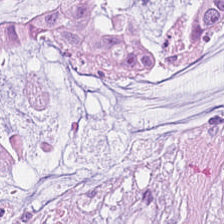H&E — Q: What is shown here?
A: This is mucin.
